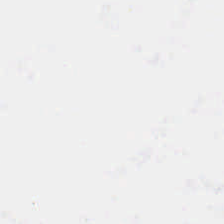Impression → background.
